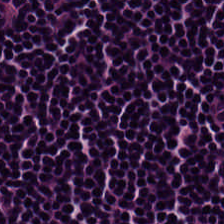H&E-stained tissue section — The predominant tissue is lymphoid infiltrate.
